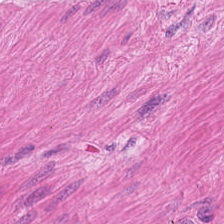Stain: H&E-stained tissue section.
Tissue: smooth muscle.
